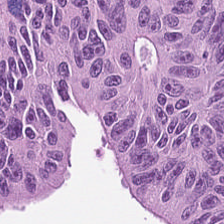Hematoxylin-and-eosin stained section.
The tissue is malignant epithelium.
